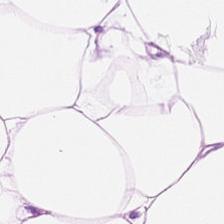Hematoxylin-and-eosin section: fat tissue.
